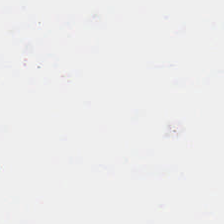Hematoxylin and eosin. 224×224 px tile. Whole-slide-image patch.
Histology → background (no tissue).
